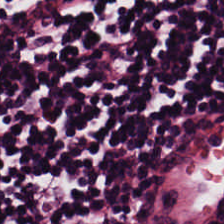Hematoxylin and eosin — This field is lymphocytic infiltrate.
